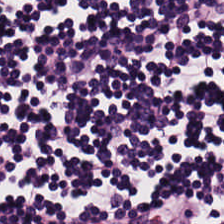H&E; brightfield. This field is lymphocytes.
